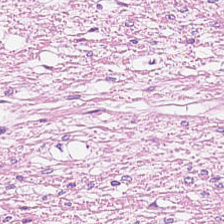Hematoxylin and eosin. Brightfield microscopy.
Predominantly muscularis.
